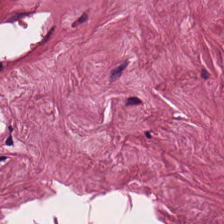Hematoxylin-and-eosin stained section.
This patch shows cancer-associated stroma.
